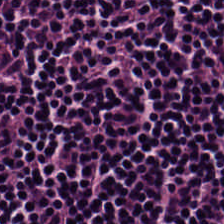Brightfield; H&E stain; FFPE tissue section.
Predominantly lymphocyte aggregate.
